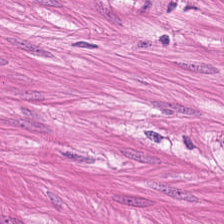H&E.
Predominantly smooth-muscle tissue.
